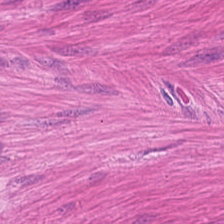Stain: hematoxylin-and-eosin stained section.
Tissue: muscularis.
